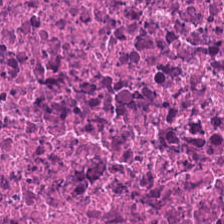224×224 px tile. Whole-slide-image patch. H&E.
Impression → debris.
